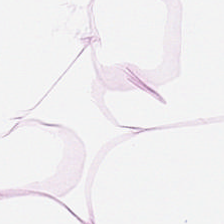0.5 microns per pixel; H&E stain — Tissue type: adipocytes.
